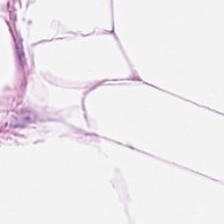H&E. Whole-slide-image patch.
Adipose tissue.
